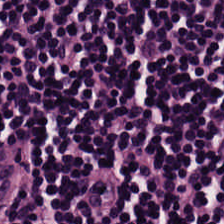20× equivalent magnification · H&E stain — Classification = lymphocyte aggregate.
